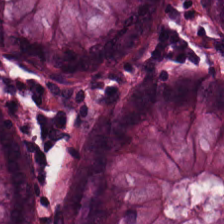H&E; formalin-fixed paraffin-embedded section — Histology — normal colonic mucosa.
